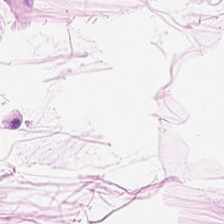H&E. Brightfield — Adipocytes.
